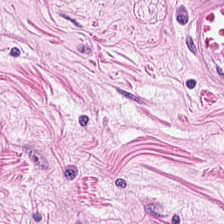H&E. {"tissue_type": "muscularis"}
